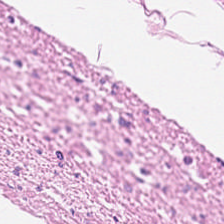Showing smooth-muscle tissue.
